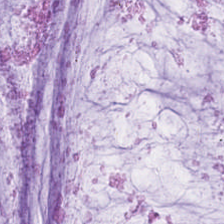H&E stain.
Extracellular mucin.
